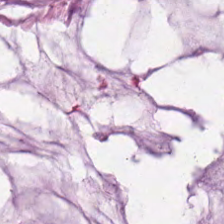Stain: hematoxylin and eosin.
Tissue: extracellular mucin.
